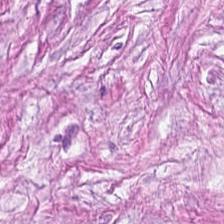Predominant tissue — tumor-associated stroma.
